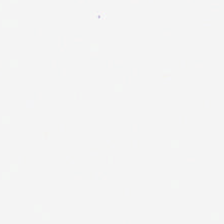H&E-stained tissue section. The content is no tissue.
